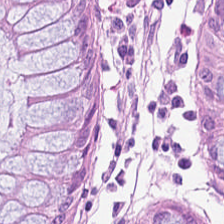H&E-stained tissue section — The tissue here is benign colonic mucosa.
